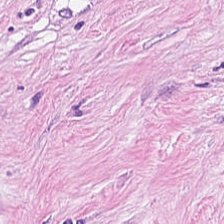Desmoplastic stroma.
